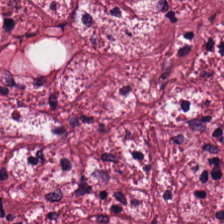H&E-stained section; the field shows desmoplastic stroma.
